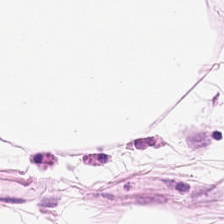Hematoxylin-and-eosin stained section; 20× equivalent magnification; brightfield microscopy. This patch shows adipose tissue.
